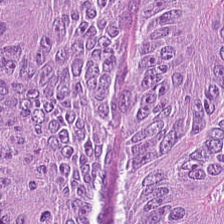Predominant tissue — colorectal adenocarcinoma.
